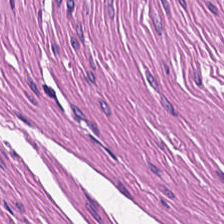H&E — The predominant tissue is muscularis.
